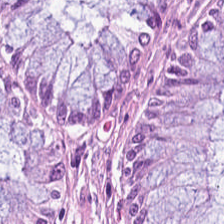0.5 µm/px · hematoxylin-and-eosin stained section · FFPE.
Q: Identify the tissue.
A: It is normal colonic mucosa.
